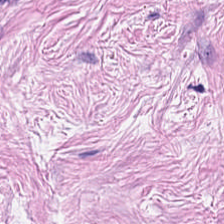Q: Identify the tissue.
A: The field shows tumor-associated stroma.
